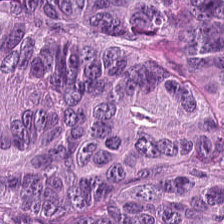Hematoxylin and eosin; formalin-fixed paraffin-embedded section — Malignant epithelium.
